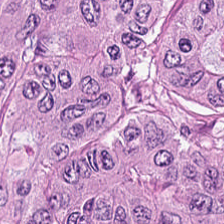H&E-stained tissue section; FFPE — Impression → malignant epithelium.
